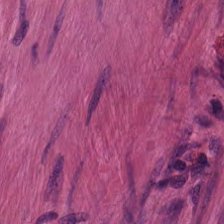Tissue class = smooth muscle.
